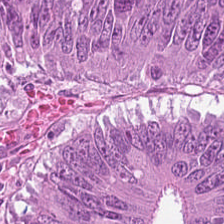H&E stain. Formalin-fixed paraffin-embedded section — The tissue here is colorectal adenocarcinoma.
